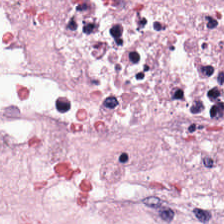H&E-stained tissue section — Q: What is shown in this field?
A: The field shows desmoplastic stroma.
